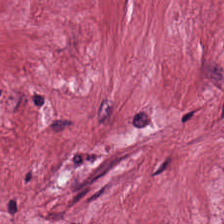Hematoxylin-and-eosin stained section.
{"tissue_type": "cancer-associated stroma"}
